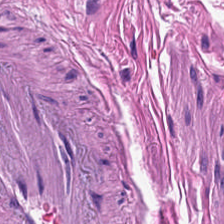H&E-stained tissue section. Brightfield.
Predominant tissue — smooth-muscle tissue.
